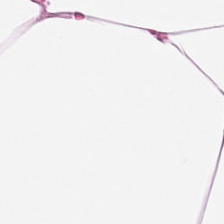Predominant tissue = adipose tissue.
